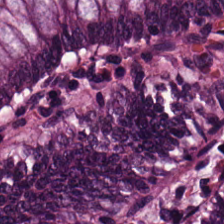Formalin-fixed paraffin-embedded section; hematoxylin-and-eosin stained section — Tissue = non-neoplastic colon mucosa.
